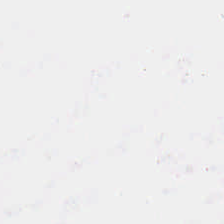Hematoxylin and eosin.
Content: background.
